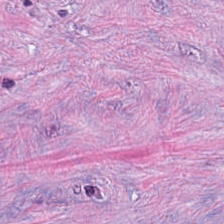Stain: H&E.
Resolution: 0.5 microns per pixel.
Predominant tissue: desmoplastic stroma.
